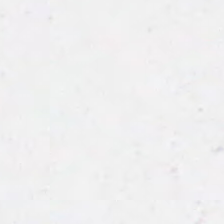H&E-stained tissue section — Empty field — background (no tissue).
